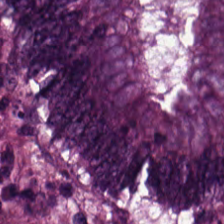H&E stain · WSI patch — Tissue: colorectal adenocarcinoma epithelium.
